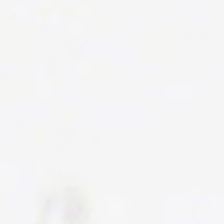No tissue present; background only.
